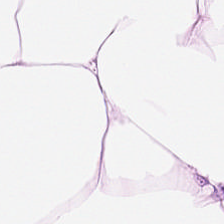H&E-stained tissue section. 0.5 µm per pixel. 224×224 pixel tile.
This patch shows fat tissue.
